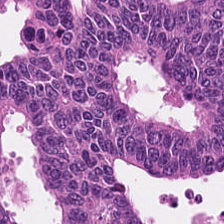Hematoxylin and eosin.
Finding — colorectal adenocarcinoma.
